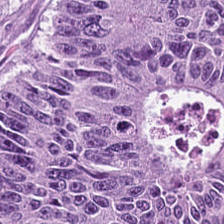Stain: hematoxylin and eosin.
Resolution: 0.5 µm/px.
Tissue: colorectal adenocarcinoma epithelium.
